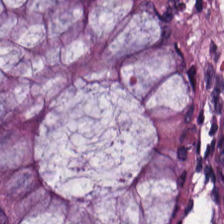H&E-stained tissue section showing benign colonic mucosa.
